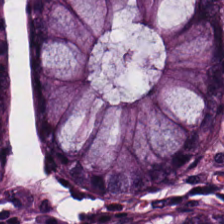H&E — This field is normal colonic mucosa.
